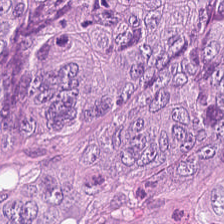The tissue type is adenocarcinoma.
